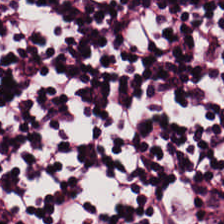Tissue class — lymphocyte aggregate.
